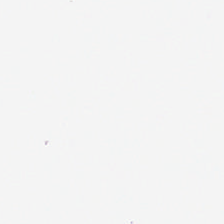Hematoxylin and eosin — Q: What does this patch show?
A: The field shows no tissue.
